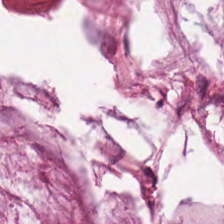H&E — Histology → extracellular mucin.
